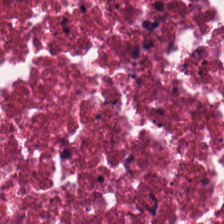Stain: H&E-stained tissue section.
Acquisition: WSI patch.
Tissue type: necrotic debris.
